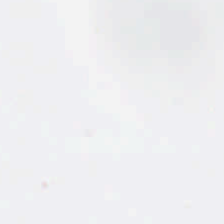Classification — empty background.
